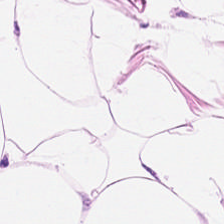0.5 µm/px; H&E stain — {"tissue_type": "adipose"}
